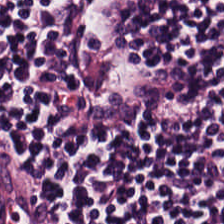H&E — The tissue here is lymphocytic infiltrate.
